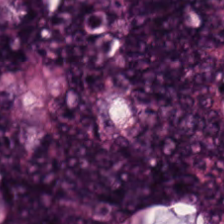Hematoxylin-and-eosin stained section. This field is tumor epithelium.
